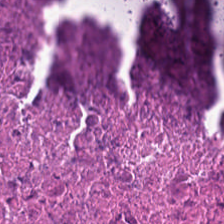Stain: H&E.
Resolution: 0.5 µm/px.
Preparation: FFPE.
Classification: cellular debris.
